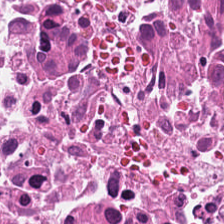Formalin-fixed paraffin-embedded section · hematoxylin and eosin · 224×224 pixel tile. This field is necrotic debris.
